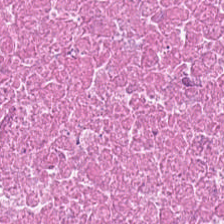Formalin-fixed paraffin-embedded section. Hematoxylin and eosin — Impression → necrotic debris.
